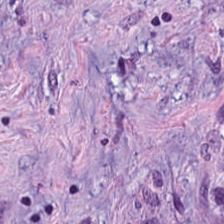The predominant tissue is cancer-associated stroma.
